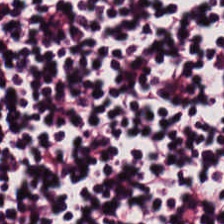H&E stain. 224×224 px patch. Finding → lymphocyte aggregate.
